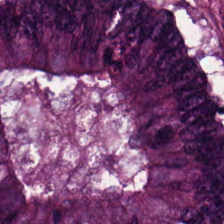Hematoxylin-and-eosin section: malignant epithelium.
